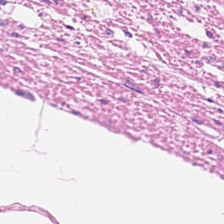Q: What tissue is shown?
A: The field shows muscularis.
